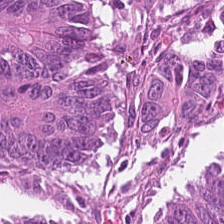Hematoxylin and eosin. Classification = adenocarcinoma.
